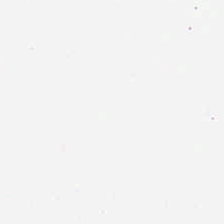Stain: H&E stain.
Field content: background (no tissue).
